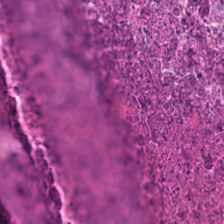H&E stain. 20× equivalent magnification. 224×224 px tile — Impression → cellular debris.
